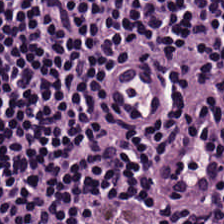H&E stain.
Q: Classify this patch.
A: Lymphocytic infiltrate.
